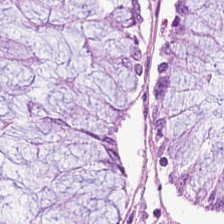Hematoxylin and eosin · FFPE.
The tissue here is non-neoplastic colon mucosa.
